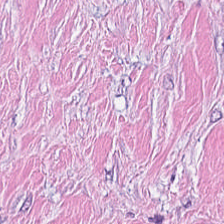Hematoxylin and eosin.
Tissue — cancer-associated stroma.
